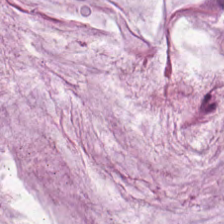H&E-stained tissue section showing mucin.
